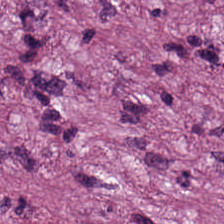Formalin-fixed paraffin-embedded section · H&E stain — {"tissue_type": "tumor stroma"}
